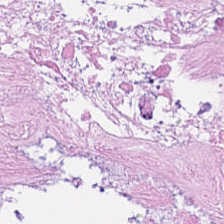H&E — The tissue is cellular debris.
